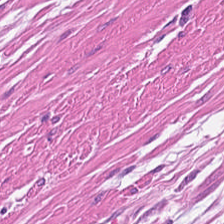Hematoxylin and eosin; 0.5 µm/px; FFPE — Tissue class — smooth muscle.
